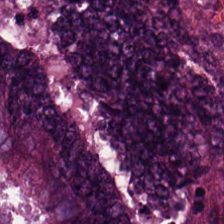H&E. 224×224 pixel tile.
The tissue type is adenocarcinoma.
